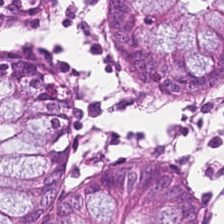Hematoxylin-and-eosin stained section — Tissue = benign colonic mucosa.
